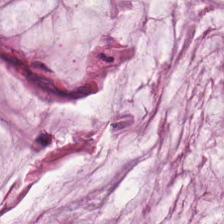Hematoxylin and eosin — Predominantly mucin.
